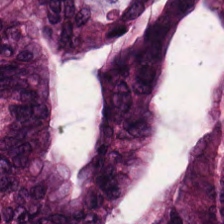224×224 px tile · H&E-stained tissue section · FFPE tissue section — Predominantly adenocarcinoma.
